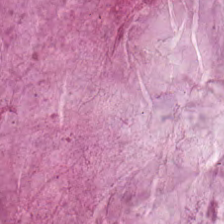Hematoxylin-and-eosin stained section · 224×224 px patch.
The tissue here is mucin.
